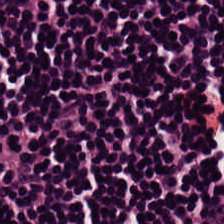Stain: H&E.
Predominant tissue: lymphocyte aggregate.
